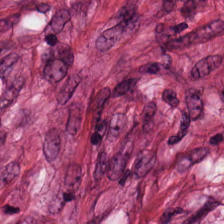Stain: hematoxylin and eosin.
Acquisition: whole-slide-image patch.
Tissue type: tumor-associated stroma.
